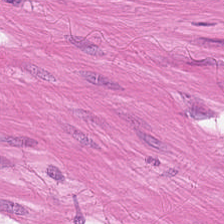H&E — Histology → smooth muscle.
